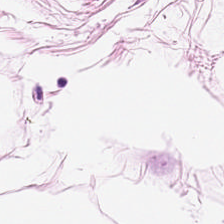H&E. 224×224 px tile — Showing adipose tissue.
